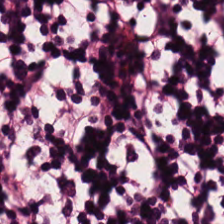Q: What tissue is shown?
A: It is lymphoid infiltrate.
